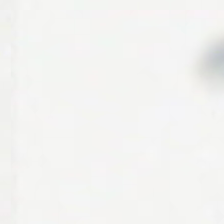H&E-stained tissue section. FFPE.
{"content": "no tissue"}
